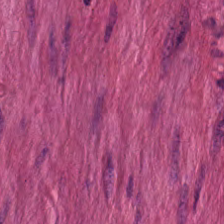H&E; brightfield microscopy — The tissue here is smooth muscle.
